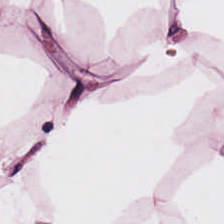Stain: H&E-stained tissue section.
Tissue type: fat tissue.
